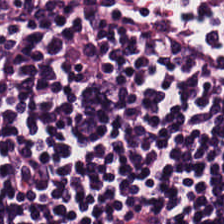H&E-stained tissue section · formalin-fixed paraffin-embedded section. Tissue type: lymphocyte aggregate.
